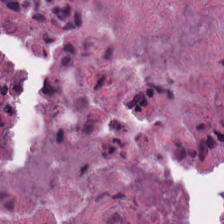FFPE tissue section. H&E stain. Brightfield microscopy. Impression → cellular debris.
